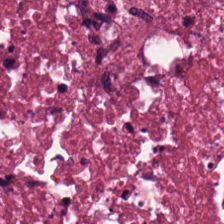Hematoxylin and eosin. This field is necrotic debris.
